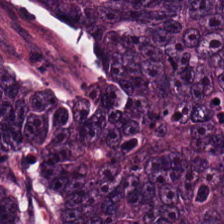Hematoxylin-and-eosin stained section. Q: What is shown in this field?
A: It is colorectal adenocarcinoma.
